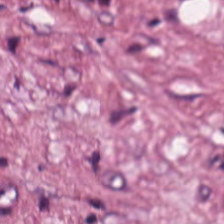H&E stain — This patch shows tumor stroma.
